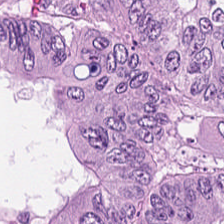Formalin-fixed paraffin-embedded section. H&E stain. 224×224 px tile — {"tissue_type": "colorectal adenocarcinoma epithelium"}
